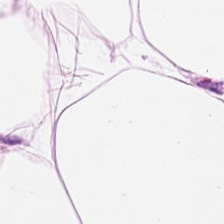The predominant tissue is adipose tissue.
